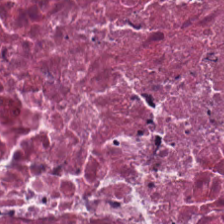Necrotic debris.
